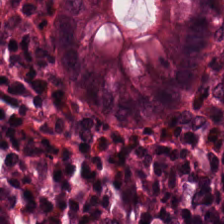H&E stain. Q: Identify the tissue.
A: This is benign colonic mucosa.
